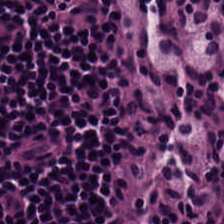Predominantly lymphocyte aggregate.
